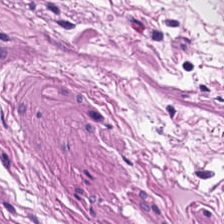Hematoxylin-and-eosin stained section · formalin-fixed paraffin-embedded section — Smooth-muscle tissue.
